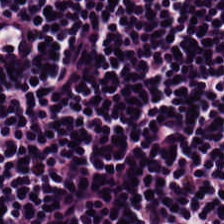FFPE tissue section · H&E stain. Classification: lymphocytes.
